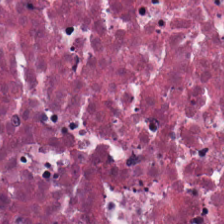Stain: H&E-stained tissue section.
Tissue: necrotic debris.
